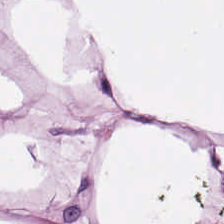H&E-stained tissue section.
Predominantly adipose tissue.
